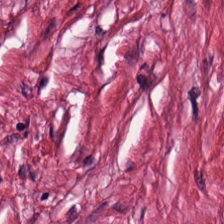Hematoxylin and eosin; 224×224 px patch. Histology — tumor stroma.
